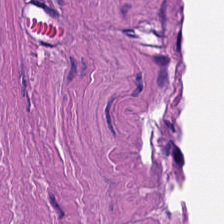Hematoxylin and eosin.
Tissue type — smooth muscle.
